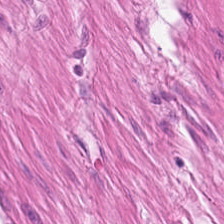H&E.
This field is smooth-muscle tissue.
